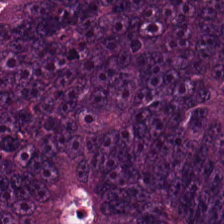H&E stain; whole-slide-image patch — Classification = malignant epithelium.
